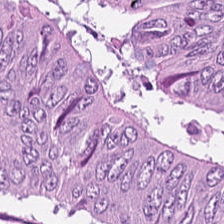H&E stain.
The tissue here is tumor epithelium.
